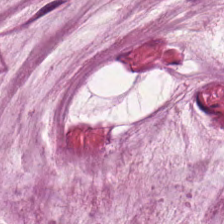Showing extracellular mucin.
